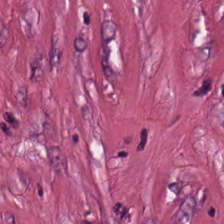Hematoxylin and eosin. The tissue here is tumor-associated stroma.
